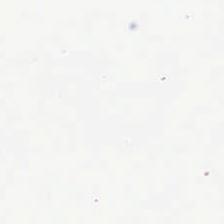{"content": "background (no tissue)"}
